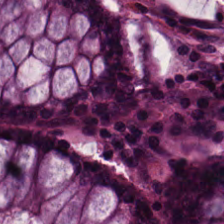Stain: H&E.
Classification: normal colonic mucosa.
